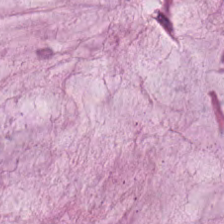Stain: H&E.
Tissue: extracellular mucin.
